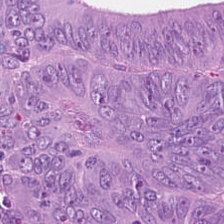Hematoxylin and eosin.
Showing adenocarcinoma.
